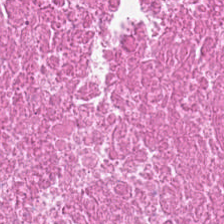Hematoxylin-and-eosin stained section.
Q: What is shown here?
A: This is cellular debris.
